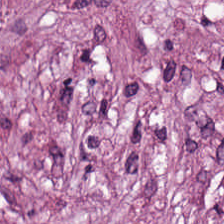224×224 px patch; hematoxylin and eosin — Tissue class = tumor stroma.
